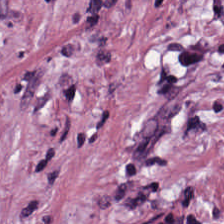Hematoxylin-and-eosin stained section. 20× equivalent magnification.
Tumor stroma.
